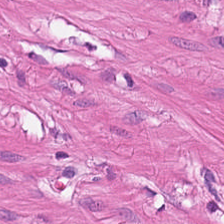H&E. Showing muscularis.
